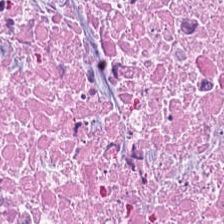Hematoxylin-and-eosin stained section.
Classification — necrotic debris.
